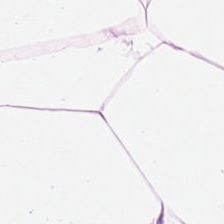Brightfield microscopy · 20× equivalent magnification · hematoxylin and eosin.
{"tissue_type": "fat tissue"}
